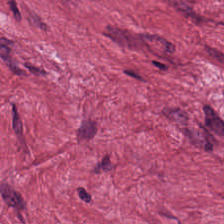Hematoxylin and eosin — The tissue type is tumor-associated stroma.
